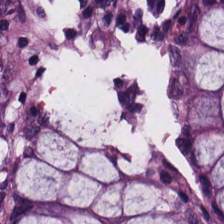Formalin-fixed paraffin-embedded section · H&E · 0.5 microns per pixel. Benign colonic mucosa.
